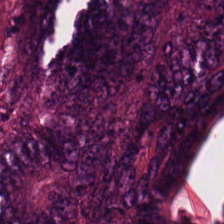H&E-stained tissue section. Histology — malignant epithelium.
